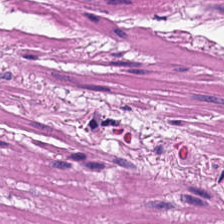Hematoxylin and eosin — Showing smooth-muscle tissue.
